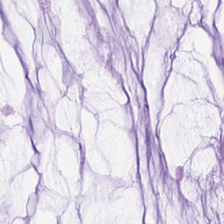Q: Classify this patch.
A: The field shows mucus.
